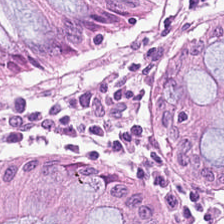H&E stain — Classification — non-neoplastic colon mucosa.
